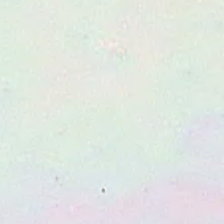Empty background.
